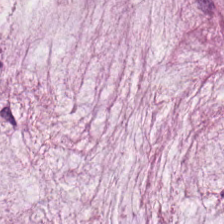H&E. Finding — mucus.
